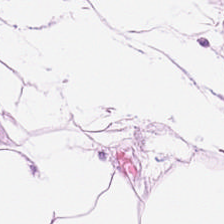FFPE; H&E; brightfield — Finding — adipose.
